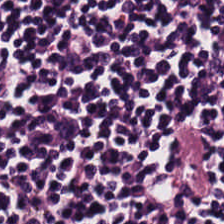H&E stain.
Classification: lymphocytic infiltrate.
